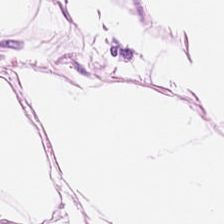Tissue class — adipose.
